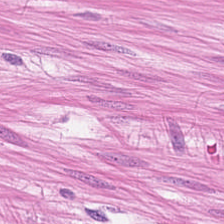H&E stain.
Predominant tissue — smooth-muscle tissue.
